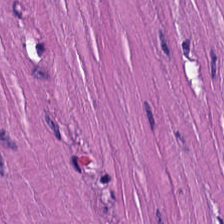Brightfield; 0.5 µm/px; hematoxylin and eosin — This patch shows smooth muscle.
